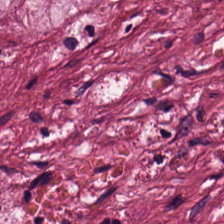The tissue here is cancer-associated stroma.
